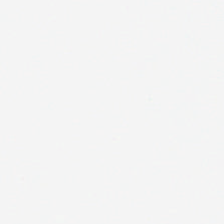H&E-stained tissue section.
Background — no tissue in this field.
